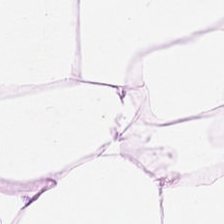0.5 microns per pixel. H&E. Q: What does this patch show?
A: The field shows adipose.
